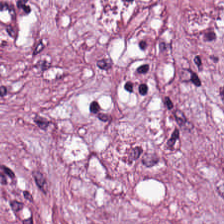H&E-stained tissue section.
Histology → desmoplastic stroma.
